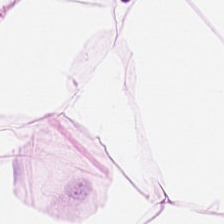Whole-slide-image patch. Hematoxylin and eosin — Showing adipocytes.
